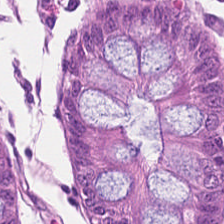H&E. {"tissue_type": "normal colon mucosa"}
